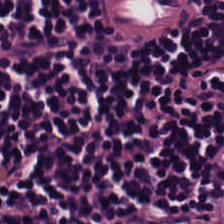Stain: hematoxylin-and-eosin stained section.
Resolution: 0.5 µm/px.
Predominant tissue: lymphocytes.
